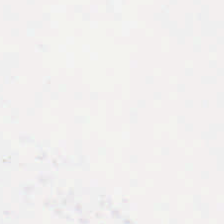H&E; 224×224 px patch.
Finding — background (no tissue).
